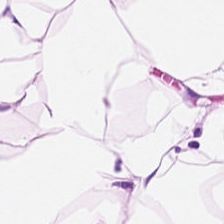H&E.
This patch shows fat tissue.
